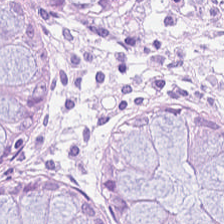H&E stain. The predominant tissue is benign colonic mucosa.
